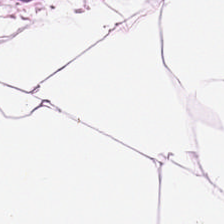224×224 px patch; hematoxylin-and-eosin stained section — The predominant tissue is adipocytes.
